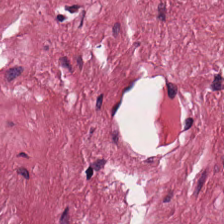The tissue class is cancer-associated stroma.
